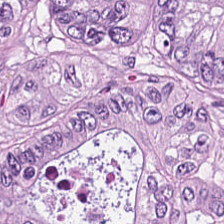Hematoxylin and eosin. Tissue: malignant epithelium.
